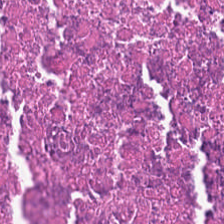FFPE. H&E-stained tissue section. 20× equivalent magnification — The tissue here is cellular debris.
